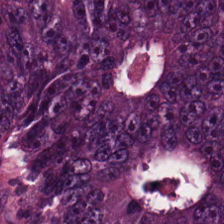224×224 px patch; H&E. Malignant epithelium.
